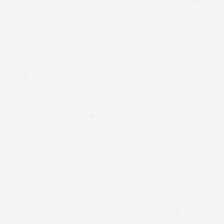H&E-stained tissue section; 0.5 µm/px.
Field content = background.
